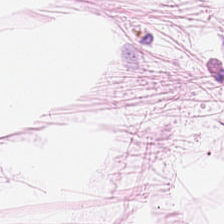Hematoxylin-and-eosin stained section. Q: What tissue type is shown here?
A: The field shows adipocytes.
